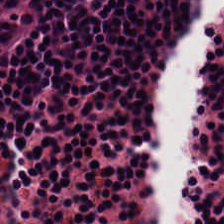H&E-stained tissue section. Q: What tissue type is shown here?
A: The field shows lymphocytic infiltrate.
